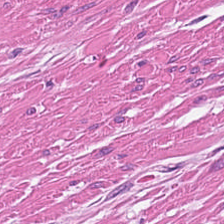The tissue here is smooth muscle.
